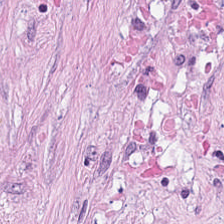Tissue class = cancer-associated stroma.
